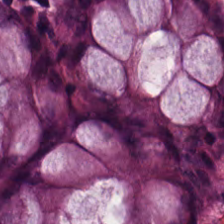Predominantly normal colon mucosa.
